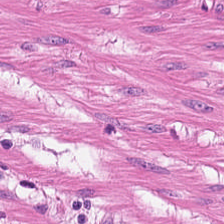Hematoxylin and eosin — Showing muscularis.
